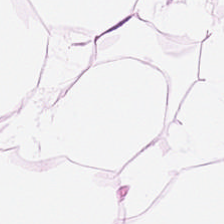Stain: H&E-stained tissue section.
Preparation: FFPE.
Acquisition: WSI patch.
Predominant tissue: adipose.
